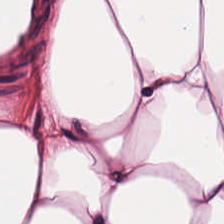H&E-stained tissue section. Whole-slide-image patch.
Tissue class = fat tissue.
